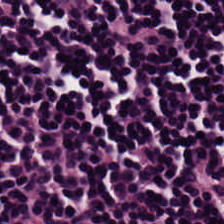Classification: lymphocytes.
